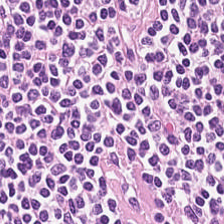Formalin-fixed paraffin-embedded section; H&E-stained tissue section; brightfield.
Impression — lymphocyte aggregate.
